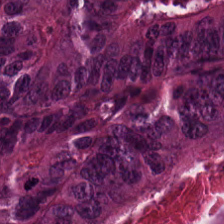Formalin-fixed paraffin-embedded section · brightfield microscopy · H&E-stained tissue section — Showing colorectal adenocarcinoma epithelium.
